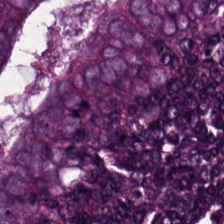Hematoxylin-and-eosin stained section; 224×224 pixel tile — The predominant tissue is adenocarcinoma.
